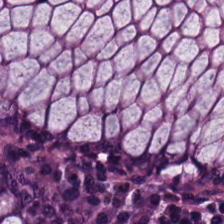Hematoxylin-and-eosin stained section. The predominant tissue is normal colonic mucosa.
